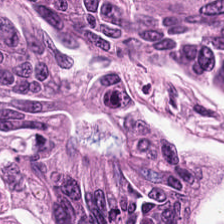Classification: malignant epithelium.
